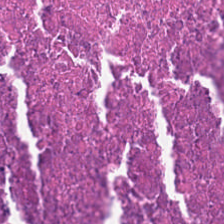H&E. FFPE tissue section.
{"tissue_type": "necrotic debris"}
